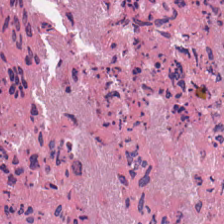H&E stain.
This patch shows cellular debris.
